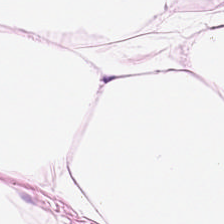Classification: adipose.
